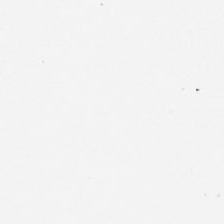0.5 µm/px · hematoxylin and eosin — Background.
